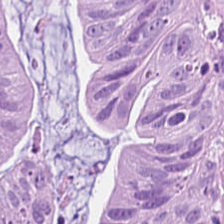Finding → colorectal adenocarcinoma epithelium.
